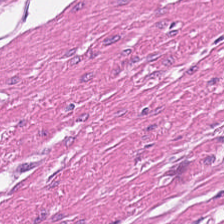224×224 px patch. Formalin-fixed paraffin-embedded section. H&E-stained tissue section. Showing smooth-muscle tissue.
